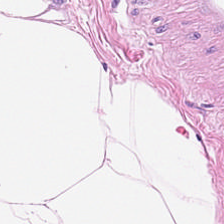FFPE tissue section; hematoxylin-and-eosin stained section. Histology — adipose tissue.
